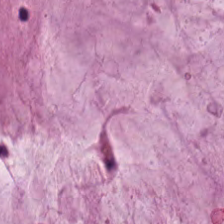H&E stain. Finding → mucin.
